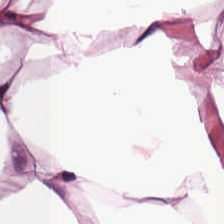H&E.
This field is adipocytes.
